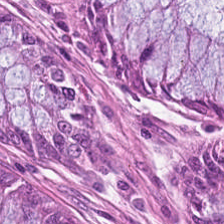The predominant tissue is normal colonic mucosa.
